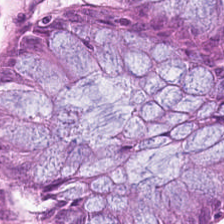0.5 µm/px · hematoxylin-and-eosin stained section — {"tissue_type": "non-neoplastic colon mucosa"}
